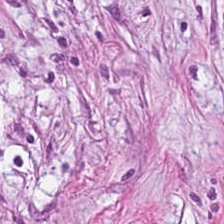Hematoxylin-and-eosin stained section. Brightfield. 224×224 pixel tile — Q: Identify the tissue.
A: This is desmoplastic stroma.
